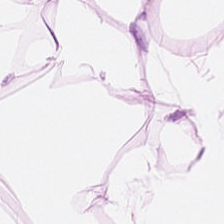H&E stain.
Q: What tissue is shown?
A: The field shows adipose tissue.
